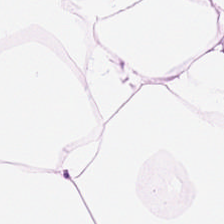224×224 px tile · H&E. The tissue here is adipose.
